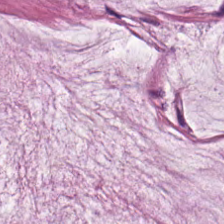Impression — mucus.
